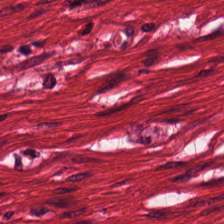Finding — smooth-muscle tissue.
